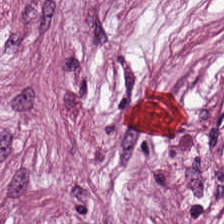Brightfield; 0.5 µm/px; H&E stain — {"tissue_type": "cancer-associated stroma"}
